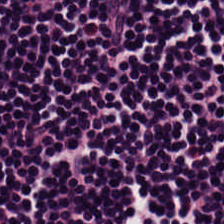224×224 pixel tile · H&E stain · brightfield.
The tissue here is lymphocyte aggregate.
